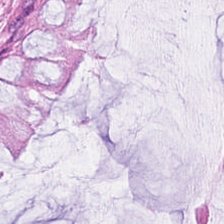Predominant tissue: normal colonic mucosa.
